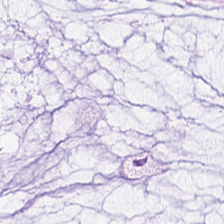Stain: H&E.
Predominant tissue: extracellular mucin.
